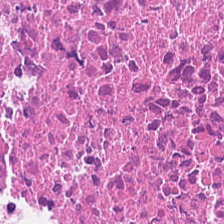Stain: hematoxylin-and-eosin stained section.
Tissue: necrotic debris.
